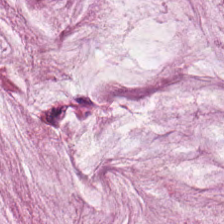H&E. FFPE tissue section.
This patch shows mucin.
